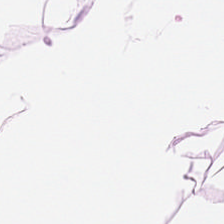Q: What is the predominant tissue type?
A: The field shows adipose.
